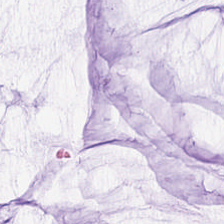H&E-stained tissue section. 0.5 µm/px. The tissue class is mucus.
